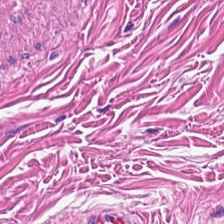H&E-stained tissue section — This patch shows smooth-muscle tissue.
